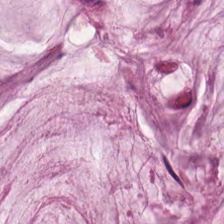FFPE tissue section · hematoxylin and eosin · 224×224 pixel tile.
Mucus.
